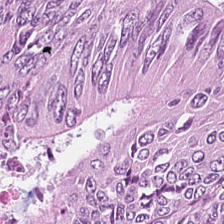Hematoxylin and eosin. The tissue type is colorectal adenocarcinoma epithelium.
